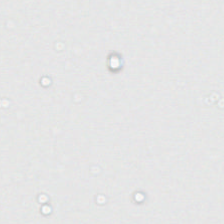0.5 µm/px; hematoxylin-and-eosin stained section. Content = no tissue.
